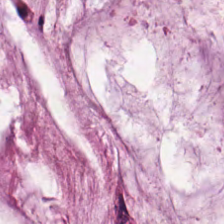0.5 µm/px; hematoxylin and eosin.
Tissue type: mucus.
